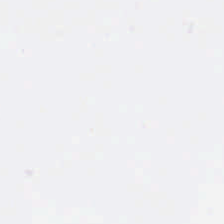H&E stain. 224×224 px patch. FFPE tissue section — No tissue present; background only.
